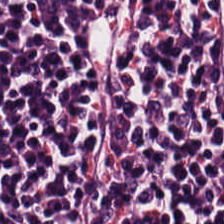224×224 px patch. Brightfield microscopy. H&E. The tissue class is lymphocytic infiltrate.
